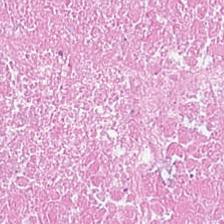Stain: H&E stain.
Tissue: debris.
